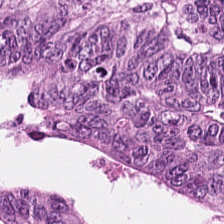Tissue type: colorectal adenocarcinoma.
